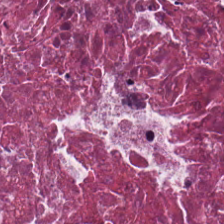H&E stain — The predominant tissue is necrotic debris.
